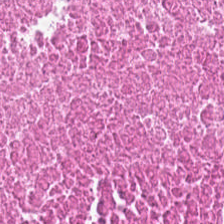0.5 µm per pixel. H&E-stained tissue section. Tissue — cellular debris.
